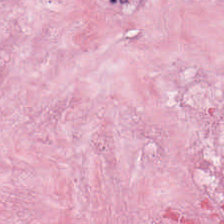H&E.
Q: What does this patch show?
A: The field shows desmoplastic stroma.
